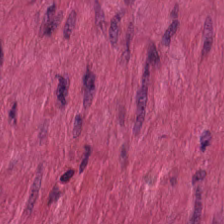H&E stain · WSI patch.
Q: Identify the tissue.
A: This is muscularis.
